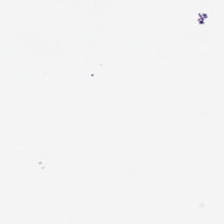Field content — empty background.
